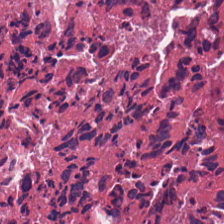Stain: hematoxylin and eosin.
Acquisition: brightfield microscopy.
Classification: cellular debris.
